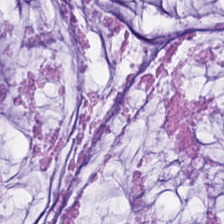H&E. Histology — mucus.
